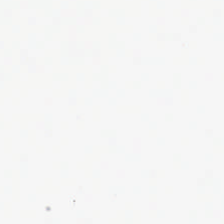Stain: hematoxylin-and-eosin stained section.
Acquisition: whole-slide-image patch.
Classification: background.
